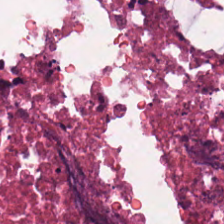Stain: H&E.
Tile size: 224×224 px patch.
Preparation: FFPE tissue section.
Classification: necrotic debris.
